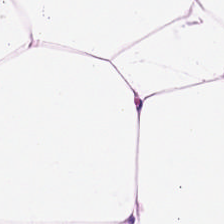0.5 µm/px · H&E-stained tissue section.
Tissue type: fat tissue.
